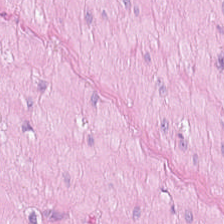H&E. Finding — smooth muscle.
